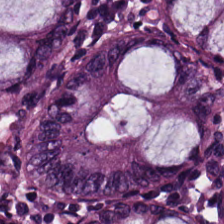224×224 px tile; WSI patch; H&E-stained tissue section. Q: What is shown here?
A: The field shows normal colon mucosa.
